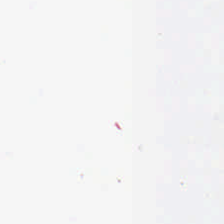H&E stain — Content = no tissue.
